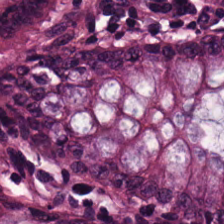H&E stain. This patch shows normal colonic mucosa.
